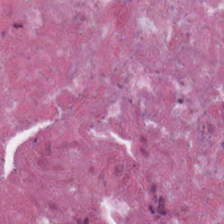H&E.
Tissue = necrotic debris.
